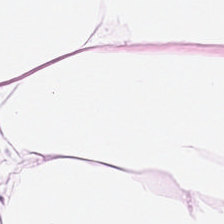FFPE; hematoxylin-and-eosin stained section. Q: What is shown in this field?
A: Adipose.
